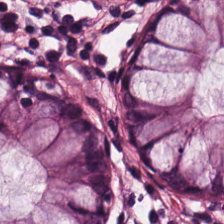Stain: hematoxylin and eosin.
Tissue: normal colonic mucosa.
